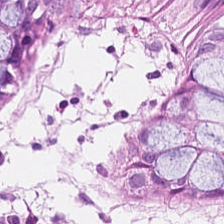Formalin-fixed paraffin-embedded section; H&E-stained tissue section.
This patch shows benign colonic mucosa.
